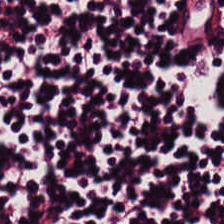H&E stain — The predominant tissue is lymphoid infiltrate.
